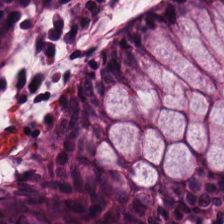H&E.
This field is benign colonic mucosa.
